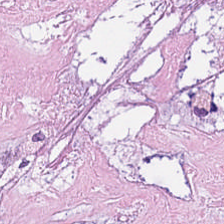H&E — Predominant tissue: cellular debris.
